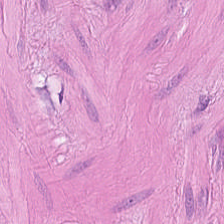H&E-stained tissue section. The tissue here is muscularis.
